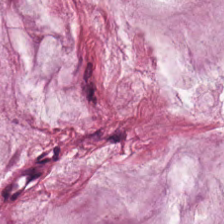H&E stain; 224×224 px tile. Q: What does this patch show?
A: This is extracellular mucin.
